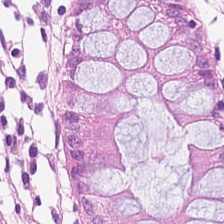H&E-stained tissue section. Brightfield — The predominant tissue is normal colon mucosa.
